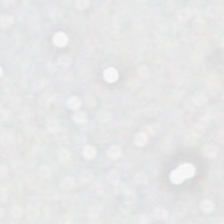H&E stain; whole-slide-image patch.
Q: What is shown in this field?
A: This is empty background.
